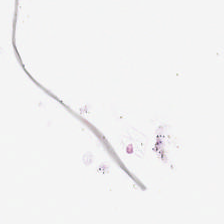H&E. No tissue present; background only.
